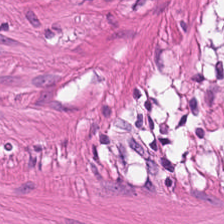H&E-stained tissue section.
The tissue here is smooth muscle.
